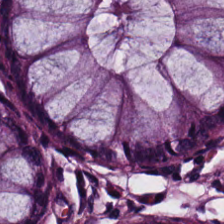H&E stain. FFPE tissue section. 0.5 microns per pixel.
Predominantly non-neoplastic colon mucosa.
